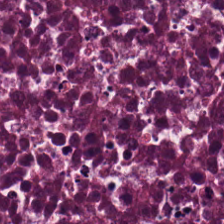Histology — necrotic debris.
